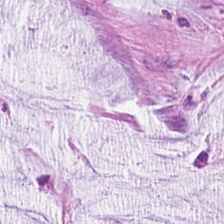H&E-stained tissue section — The tissue is mucin.
